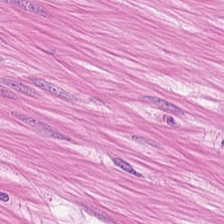H&E-stained section; the field shows smooth-muscle tissue.
